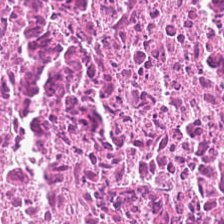Brightfield; FFPE tissue section; H&E stain.
Tissue = necrotic debris.
